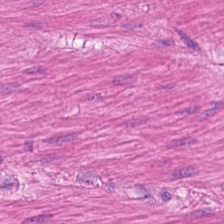H&E-stained section; the field shows muscularis.
